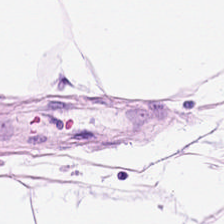Brightfield. Hematoxylin-and-eosin stained section. Showing adipose tissue.
